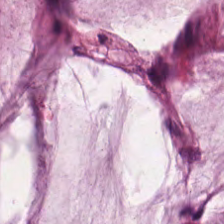Hematoxylin-and-eosin stained section.
This field is mucin.
